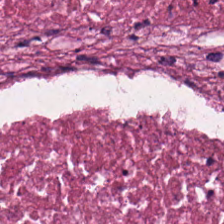H&E-stained tissue section.
This field is necrotic debris.
